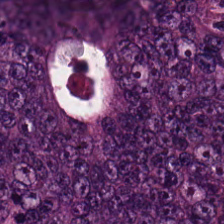Hematoxylin and eosin. Q: What is shown here?
A: This is malignant epithelium.
